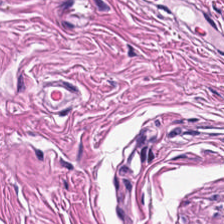H&E stain. 224×224 px tile. FFPE.
Tissue class = smooth muscle.
